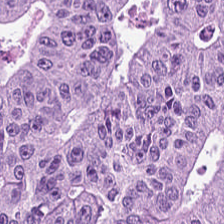Q: What is shown in this field?
A: It is colorectal adenocarcinoma epithelium.
